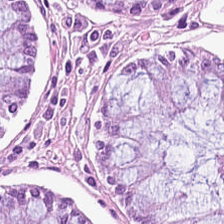Q: What is shown in this field?
A: This is benign colonic mucosa.
